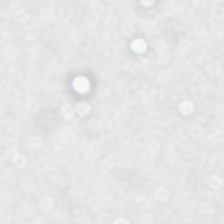Hematoxylin-and-eosin stained section; 224×224 pixel tile.
Classification = empty background.
